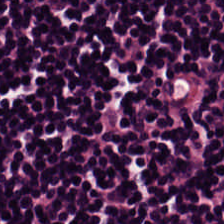Stain: H&E stain.
Tissue class: lymphocytic infiltrate.
